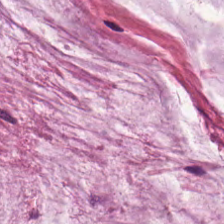Hematoxylin-and-eosin stained section. FFPE tissue section — This field is mucin.
